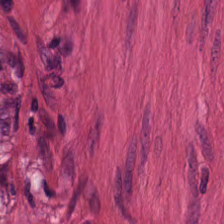Stain: H&E-stained tissue section.
Classification: muscularis.
